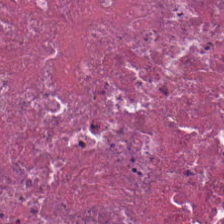Hematoxylin and eosin — Impression → debris.
